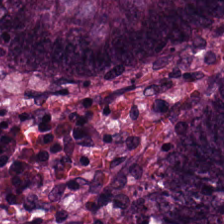The predominant tissue is colorectal adenocarcinoma epithelium.
